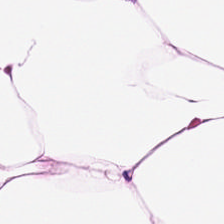Hematoxylin-and-eosin stained section.
Finding → adipose tissue.
